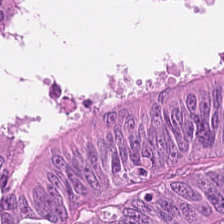224×224 px tile. Hematoxylin-and-eosin stained section — The classification is tumor epithelium.
